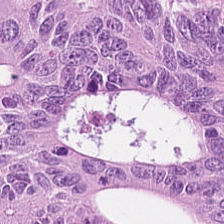Brightfield microscopy · H&E-stained tissue section · formalin-fixed paraffin-embedded section — This field is colorectal adenocarcinoma epithelium.
